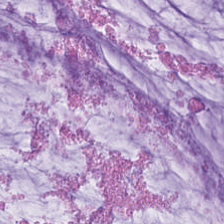20× equivalent magnification; H&E stain.
Impression — extracellular mucin.
